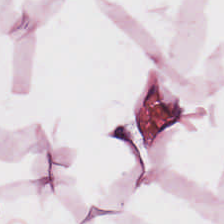Hematoxylin and eosin.
Predominantly fat tissue.
